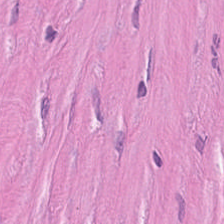H&E-stained tissue section.
Q: What is shown here?
A: The field shows cancer-associated stroma.
